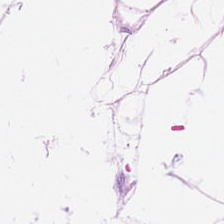Hematoxylin and eosin.
Showing adipose.
